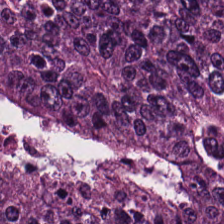224×224 pixel tile · hematoxylin and eosin. Classification: colorectal adenocarcinoma.
